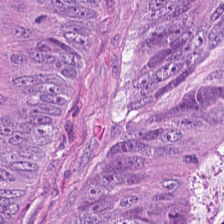H&E.
Impression — tumor epithelium.
